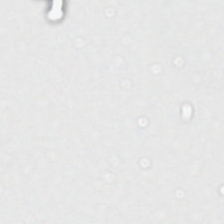Field content — background (no tissue).
